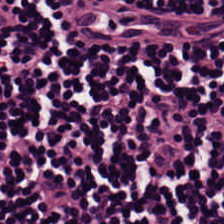Tissue class: lymphocyte aggregate.
